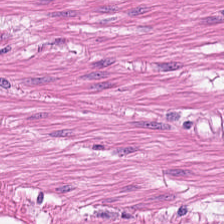Hematoxylin-and-eosin stained section. This field is smooth-muscle tissue.
